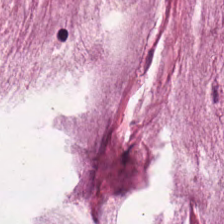H&E-stained tissue section.
Q: What is shown here?
A: The field shows mucin.
